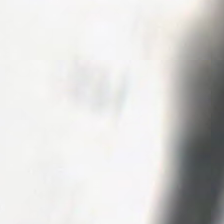0.5 µm/px. H&E stain. No tissue present; background only.
